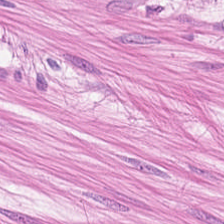The tissue class is smooth-muscle tissue.
